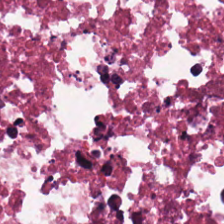Hematoxylin-and-eosin section: debris.
